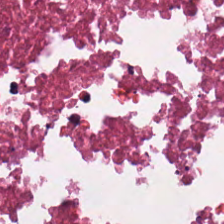H&E-stained tissue section — The tissue here is debris.
